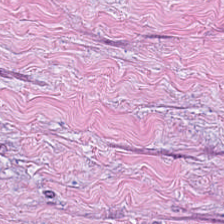Hematoxylin and eosin.
The tissue is desmoplastic stroma.
